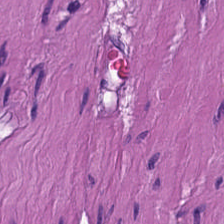The predominant tissue is muscularis.
